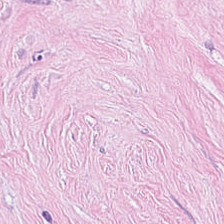FFPE tissue section. Hematoxylin and eosin.
The predominant tissue is cancer-associated stroma.
